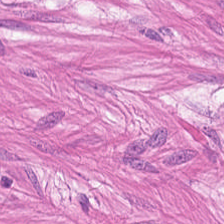H&E-stained tissue section — The tissue type is smooth-muscle tissue.
